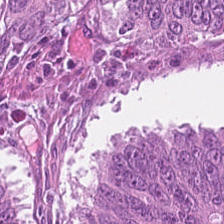The classification is adenocarcinoma.
